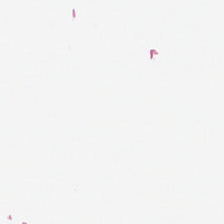Histology — empty background.
